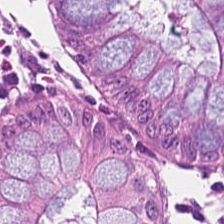H&E-stained tissue section.
Q: What is shown here?
A: Normal colonic mucosa.
